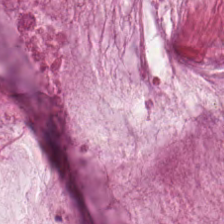H&E — Predominantly mucin.
